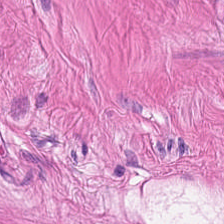Tissue class = smooth muscle.
